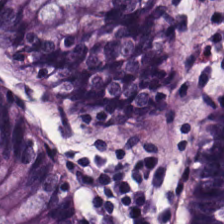0.5 µm per pixel. 224×224 pixel tile. Hematoxylin-and-eosin stained section.
{"tissue_type": "benign colonic mucosa"}
